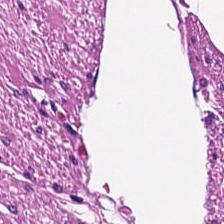224×224 px patch. FFPE tissue section. H&E.
Tissue: smooth-muscle tissue.
